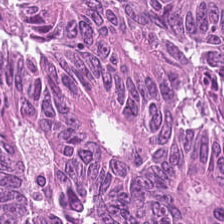H&E — This patch shows colorectal adenocarcinoma epithelium.
